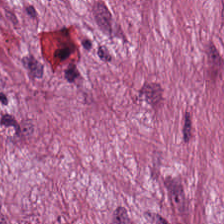Brightfield. Hematoxylin-and-eosin stained section.
Tissue type — tumor stroma.
